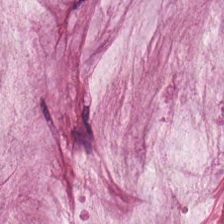Hematoxylin-and-eosin stained section. {"tissue_type": "mucus"}
